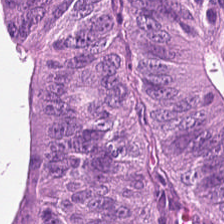This field is colorectal adenocarcinoma.
